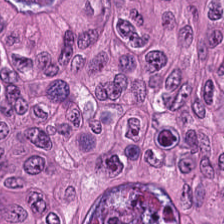Stain: hematoxylin and eosin.
Tissue class: malignant epithelium.
